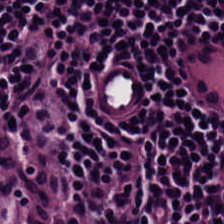224×224 pixel tile · H&E · 0.5 microns per pixel — Q: Identify the tissue.
A: Lymphocytic infiltrate.
